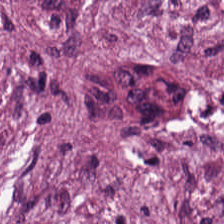H&E; formalin-fixed paraffin-embedded section; 224×224 px tile — The predominant tissue is cancer-associated stroma.
